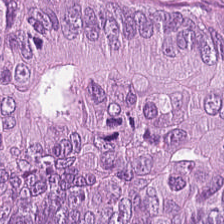H&E stain. This patch shows tumor epithelium.
